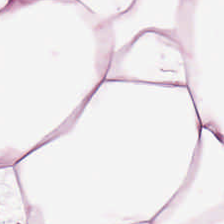H&E-stained tissue section.
Tissue type: adipose.
